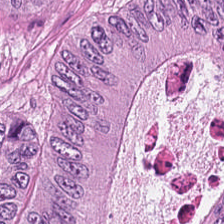Stain: H&E.
Predominant tissue: adenocarcinoma.
